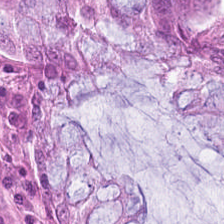Finding → normal colonic mucosa.
